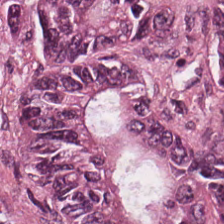Showing adenocarcinoma.
